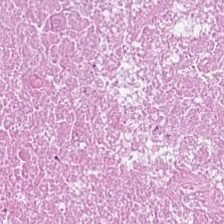H&E-stained tissue section.
Predominant tissue: cellular debris.
